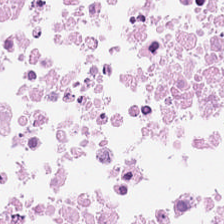Hematoxylin-and-eosin stained section · FFPE.
The tissue here is debris.
